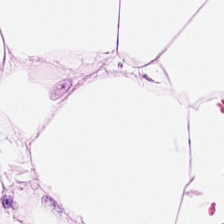Hematoxylin and eosin. Q: What is shown in this field?
A: It is fat tissue.
